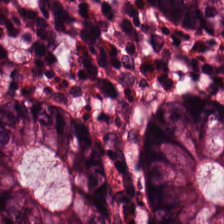{"tissue_type": "normal colon mucosa"}
